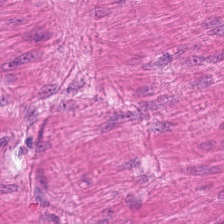Stain: hematoxylin-and-eosin stained section.
Tissue class: muscularis.
